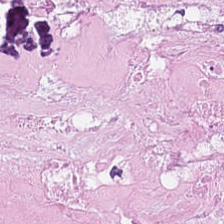Hematoxylin-and-eosin stained section. The tissue here is debris.
